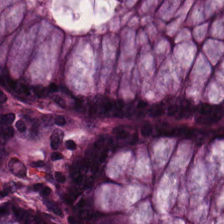Q: What type of tissue is this?
A: It is normal colon mucosa.
